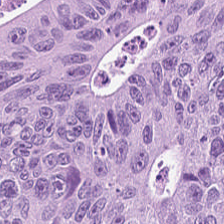Histology → tumor epithelium.
